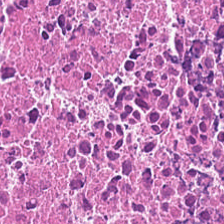Histology → debris.
